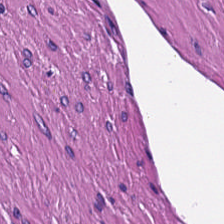Hematoxylin-and-eosin stained section.
Impression → smooth-muscle tissue.
